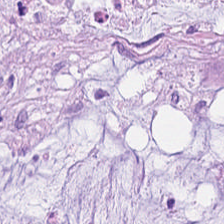Stain: H&E.
Tissue class: extracellular mucin.
